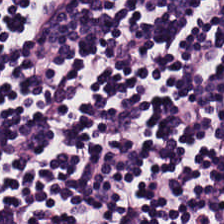Hematoxylin-and-eosin section: lymphoid infiltrate.
